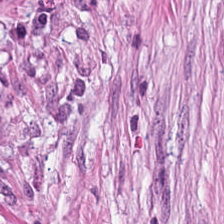Hematoxylin and eosin.
Classification = tumor stroma.
